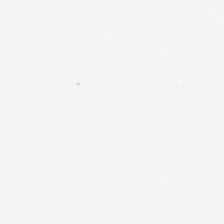H&E-stained tissue section. Impression — background.
